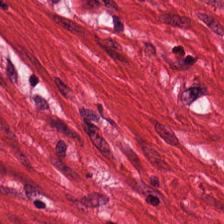H&E.
Predominant tissue — smooth muscle.
